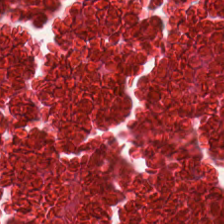Stain: hematoxylin-and-eosin stained section.
Tile size: 224×224 px patch.
Tissue: debris.
